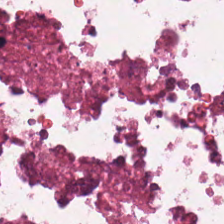Hematoxylin-and-eosin stained section — Classification: debris.
